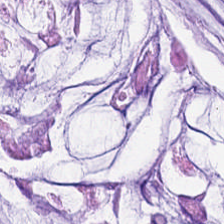20× equivalent magnification · WSI patch · hematoxylin and eosin. Q: What is shown in this field?
A: This is extracellular mucin.
